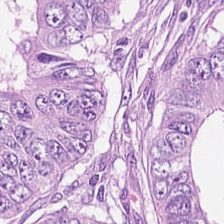Hematoxylin-and-eosin stained section · 0.5 µm/px. This patch shows adenocarcinoma.
